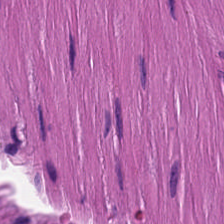224×224 pixel tile · H&E-stained tissue section. Q: What type of tissue is this?
A: Smooth-muscle tissue.
